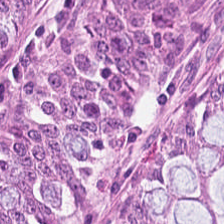Brightfield microscopy. H&E stain. Tissue type: non-neoplastic colon mucosa.
